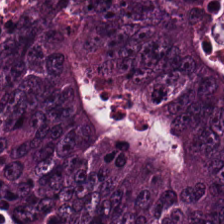Hematoxylin and eosin.
Q: What is the predominant tissue type?
A: It is colorectal adenocarcinoma.
